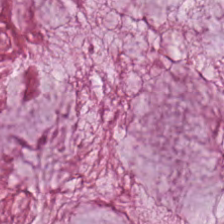0.5 µm/px. H&E-stained tissue section. Extracellular mucin.
